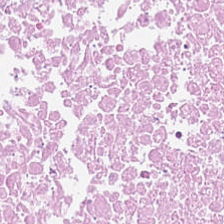0.5 microns per pixel. H&E. Brightfield. This field is cellular debris.
